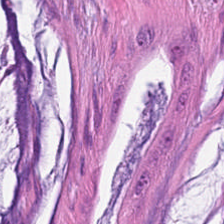H&E. 224×224 px tile. WSI patch.
Mucin.
